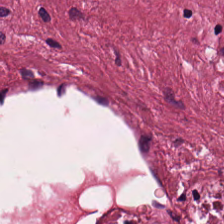FFPE · 224×224 pixel tile · H&E stain.
The classification is desmoplastic stroma.
